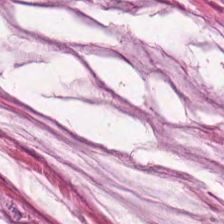H&E stain. Formalin-fixed paraffin-embedded section. Q: What tissue type is shown here?
A: The field shows mucus.
